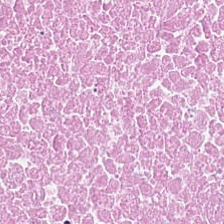H&E-stained section; the field shows necrotic debris.
